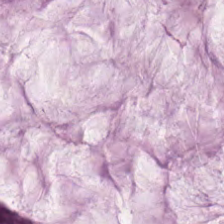H&E — mucus.
